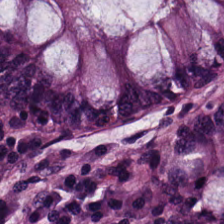224×224 pixel tile · brightfield · hematoxylin-and-eosin stained section — Tissue type: normal colon mucosa.
